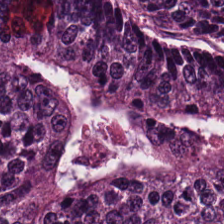Tissue type: colorectal adenocarcinoma.
